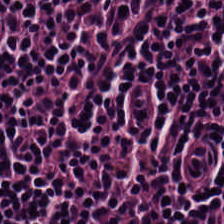Hematoxylin and eosin.
The predominant tissue is lymphocyte aggregate.
